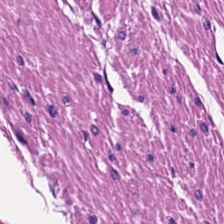Stain: H&E.
Acquisition: WSI patch.
Tissue class: muscularis.
